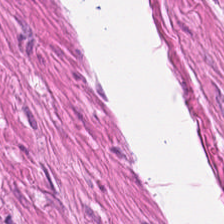Stain: hematoxylin and eosin.
Tissue class: smooth-muscle tissue.
